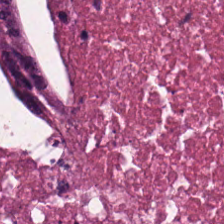H&E; 224×224 px patch.
Finding — debris.
